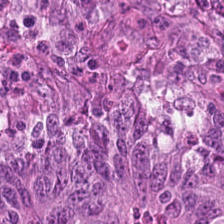Stain: H&E.
Resolution: 0.5 µm per pixel.
Preparation: FFPE.
Predominant tissue: colorectal adenocarcinoma.
